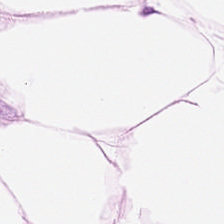Hematoxylin-and-eosin stained section. 224×224 px patch — The tissue class is adipose.
